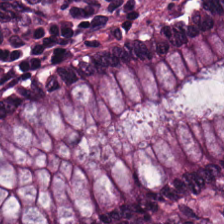Stain: H&E-stained tissue section.
Predominant tissue: benign colonic mucosa.
